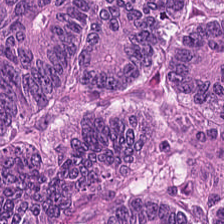Q: Identify the tissue.
A: Tumor epithelium.
